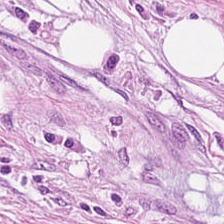Stain: H&E.
Tile size: 224×224 px patch.
Predominant tissue: tumor stroma.
